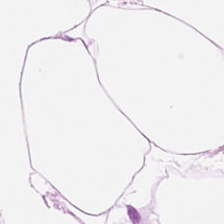H&E; whole-slide-image patch — {"tissue_type": "adipose tissue"}
